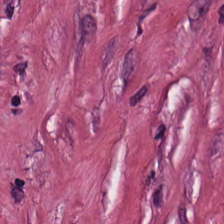{"tissue_type": "cancer-associated stroma"}
